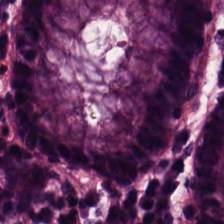Brightfield · formalin-fixed paraffin-embedded section · hematoxylin and eosin. The predominant tissue is normal colon mucosa.
